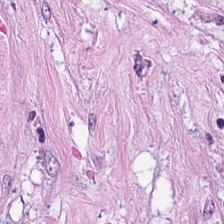H&E — This patch shows cancer-associated stroma.
